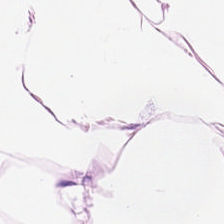H&E.
Tissue class: adipose tissue.
